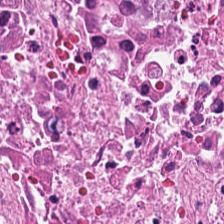Brightfield · H&E-stained tissue section. Q: What is shown here?
A: It is necrotic debris.
